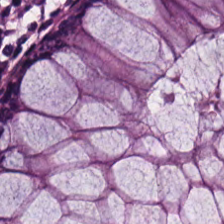0.5 µm/px · H&E stain · 224×224 px tile — Q: What type of tissue is this?
A: The field shows non-neoplastic colon mucosa.
